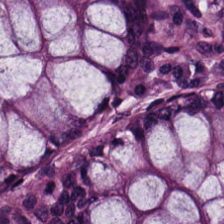Stain: hematoxylin-and-eosin stained section.
Resolution: 0.5 microns per pixel.
Predominant tissue: non-neoplastic colon mucosa.
